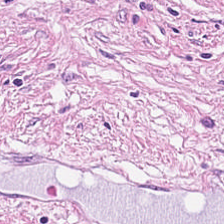224×224 px tile. H&E-stained tissue section — Desmoplastic stroma.
